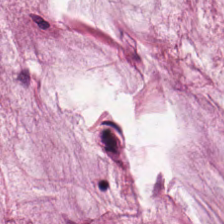Mucus.
